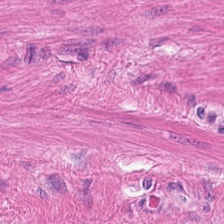H&E-stained tissue section.
The tissue is muscularis.
